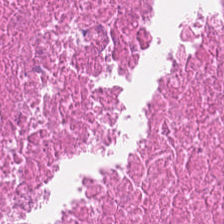Stain: hematoxylin-and-eosin stained section.
Resolution: 0.5 µm per pixel.
Acquisition: brightfield microscopy.
Tissue: cellular debris.
